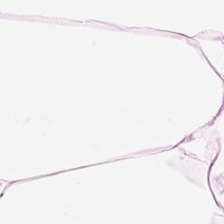Hematoxylin and eosin; 224×224 pixel tile; WSI patch — Tissue — fat tissue.
